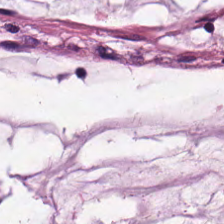The tissue here is extracellular mucin.
